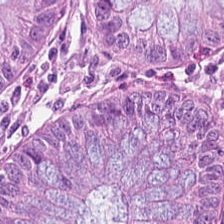Hematoxylin and eosin.
This patch shows normal colonic mucosa.
